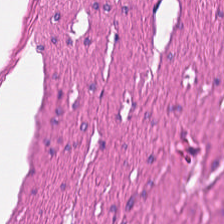Muscularis.
